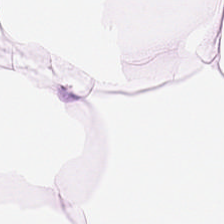Hematoxylin and eosin.
Predominantly fat tissue.
